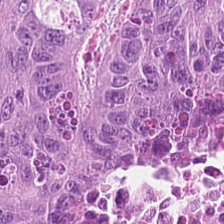224×224 px patch; H&E-stained tissue section — Tissue class: malignant epithelium.
